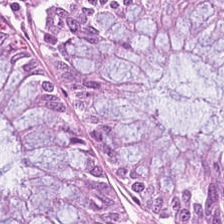H&E. Q: What is the predominant tissue type?
A: The field shows normal colon mucosa.
